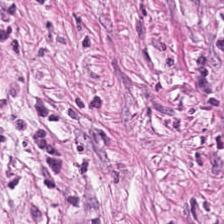H&E patch showing cancer-associated stroma.
